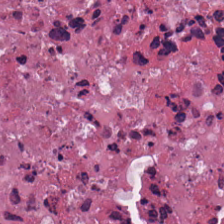H&E-stained tissue section — Predominant tissue: necrotic debris.
